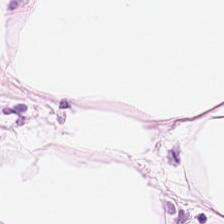H&E-stained tissue section. 224×224 px tile.
Histology — adipose tissue.
